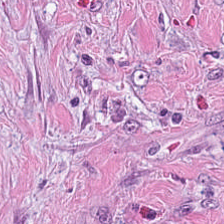0.5 µm per pixel · H&E-stained tissue section — Finding — tumor stroma.
